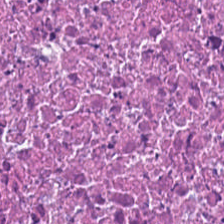H&E-stained tissue section — The tissue here is necrotic debris.
